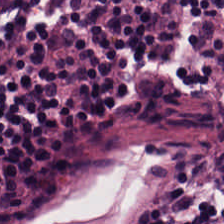Hematoxylin and eosin.
Showing lymphoid infiltrate.
